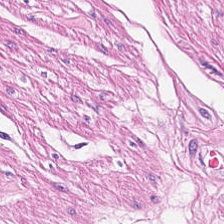H&E — Predominantly smooth-muscle tissue.
